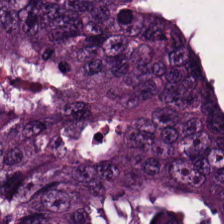H&E — Tissue = tumor epithelium.
